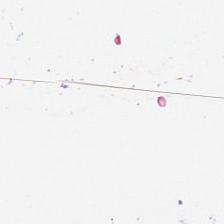Brightfield microscopy; H&E-stained tissue section — This patch shows background (no tissue).
